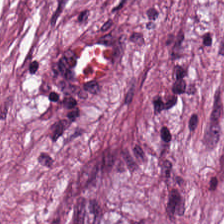H&E. Predominantly cancer-associated stroma.
